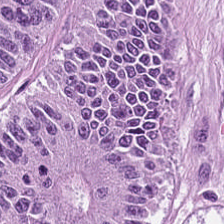FFPE tissue section. Hematoxylin-and-eosin stained section — Finding → tumor epithelium.
